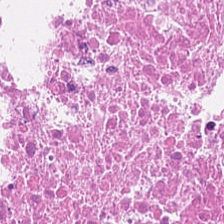H&E-stained tissue section; whole-slide-image patch.
The tissue class is debris.
